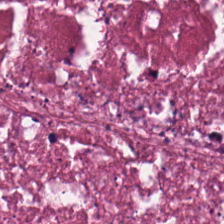Q: Identify the tissue.
A: This is debris.
